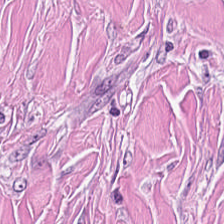H&E stain; 224×224 px tile.
This patch shows cancer-associated stroma.
